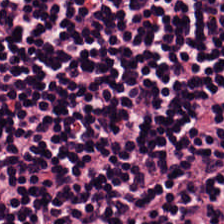FFPE. Hematoxylin and eosin. {"tissue_type": "lymphocyte aggregate"}
